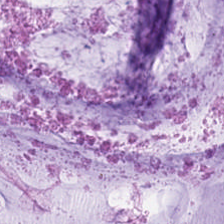224×224 px tile. 20× equivalent magnification. H&E stain. Predominantly mucin.
